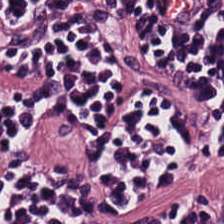Brightfield. 0.5 microns per pixel. Hematoxylin and eosin. Showing lymphocyte aggregate.
